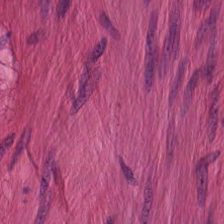H&E stain — Predominant tissue = smooth muscle.
